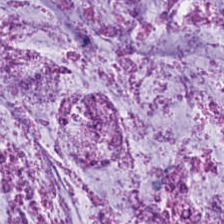Stain: H&E stain.
Preparation: formalin-fixed paraffin-embedded section.
Tissue: mucus.
